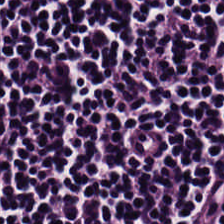H&E-stained tissue section — Q: What tissue type is shown here?
A: It is lymphocytes.
